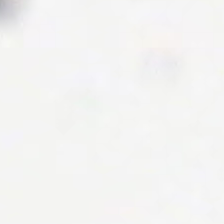H&E-stained tissue section. This field is background (no tissue).
